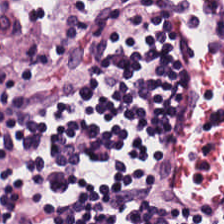224×224 pixel tile · FFPE tissue section · H&E-stained tissue section.
This field is lymphocytic infiltrate.
